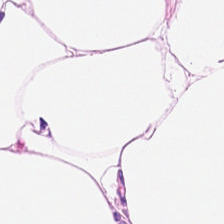H&E · FFPE tissue section.
Tissue type: adipocytes.
